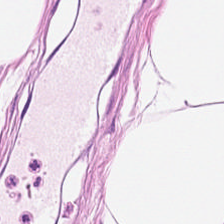The predominant tissue is adipose.
